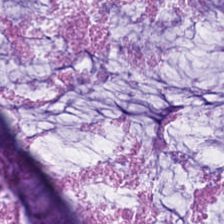Brightfield · H&E-stained tissue section — The tissue here is mucin.
